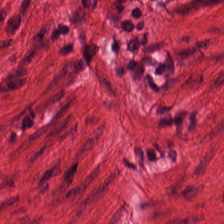Finding — smooth muscle.
